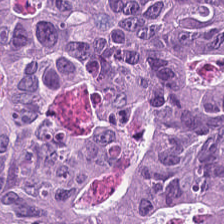Hematoxylin and eosin. Q: What is shown in this field?
A: This is adenocarcinoma.
